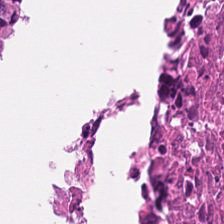Hematoxylin and eosin — This field is debris.
